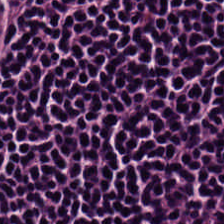224×224 px patch · H&E · formalin-fixed paraffin-embedded section — Finding → lymphocytic infiltrate.
